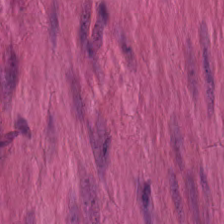Hematoxylin-and-eosin stained section; 224×224 px patch. Impression → smooth-muscle tissue.
